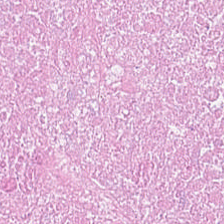This patch shows debris.
